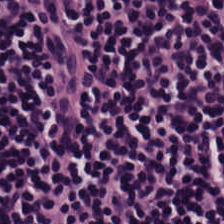Stain: hematoxylin-and-eosin stained section.
Acquisition: WSI patch.
Predominant tissue: lymphocytes.
